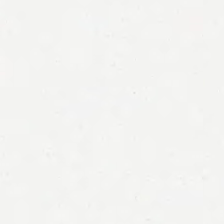Hematoxylin-and-eosin stained section.
Q: What is shown here?
A: The field shows background.
